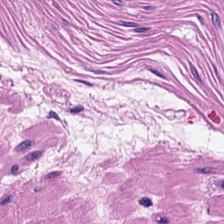H&E patch showing smooth muscle.
